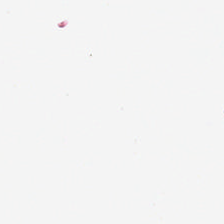224×224 pixel tile. H&E.
The classification is background (no tissue).
